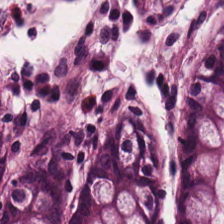FFPE. Hematoxylin and eosin — Impression — non-neoplastic colon mucosa.
